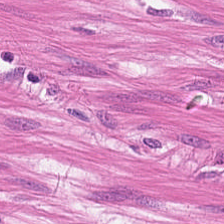H&E stain — The predominant tissue is smooth muscle.
